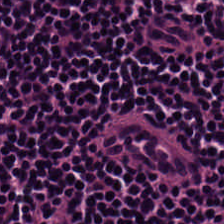H&E — Q: What does this patch show?
A: It is lymphocytes.
